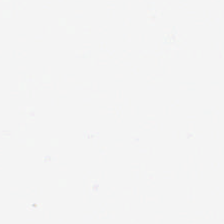Hematoxylin-and-eosin stained section. Empty field — empty background.
